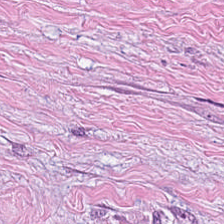Histology → tumor stroma.
